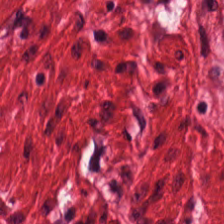H&E-stained tissue section — Q: What is the predominant tissue type?
A: It is smooth-muscle tissue.
